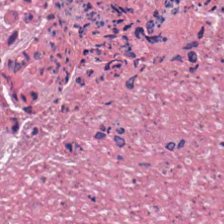Stain: H&E stain.
Tissue type: debris.
